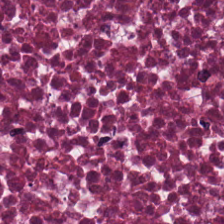20× equivalent magnification; H&E stain — This patch shows debris.
